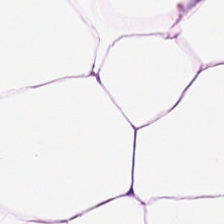Hematoxylin-and-eosin stained section.
The tissue is adipose.
